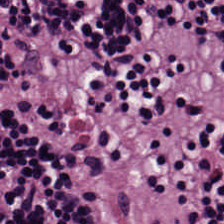Hematoxylin-and-eosin stained section; 0.5 µm/px. Classification: lymphocytic infiltrate.
